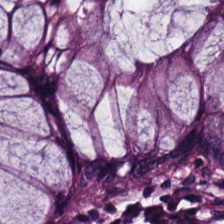FFPE tissue section; hematoxylin and eosin. Q: What is shown here?
A: Normal colon mucosa.
